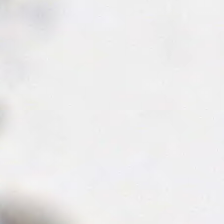Empty field — background.
